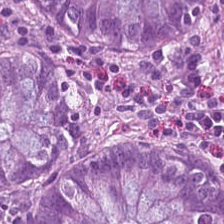H&E-stained tissue section. Finding → normal colonic mucosa.
